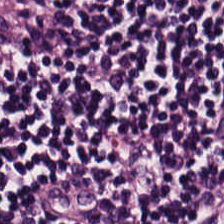WSI patch · FFPE · H&E stain.
Histology — lymphocytes.
